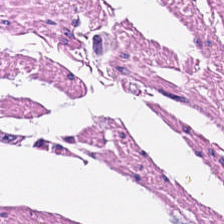224×224 pixel tile · H&E stain. Q: What tissue is shown?
A: This is muscularis.
